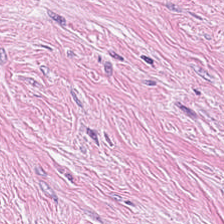This patch shows tumor stroma.
